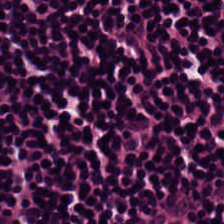Hematoxylin and eosin.
Predominantly lymphocytes.
